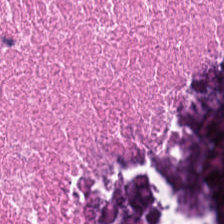Predominantly debris.
